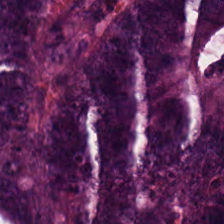H&E-stained tissue section — Predominantly adenocarcinoma.
